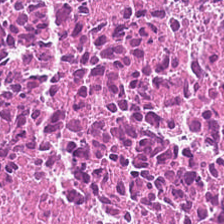Whole-slide-image patch. H&E. 224×224 px tile — The tissue here is debris.
